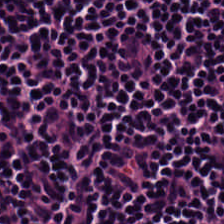20× equivalent magnification. H&E stain. 224×224 px patch.
Finding — lymphoid infiltrate.
